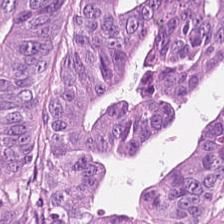H&E stain; 0.5 µm per pixel. The tissue type is tumor epithelium.
